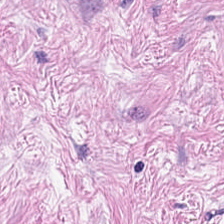Hematoxylin and eosin · FFPE tissue section · 0.5 microns per pixel — The tissue here is desmoplastic stroma.
